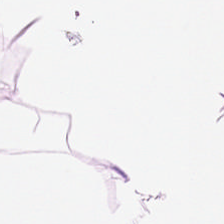H&E-stained tissue section showing adipose.
